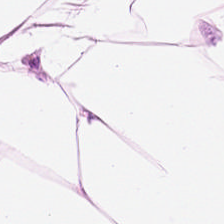Hematoxylin and eosin — Fat tissue.
